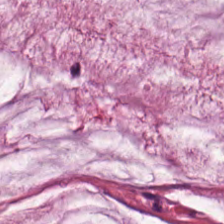Whole-slide-image patch · hematoxylin-and-eosin stained section. Predominantly mucin.
